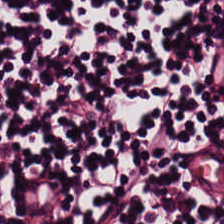Hematoxylin-and-eosin stained section; 20× equivalent magnification; brightfield microscopy.
Q: What tissue is shown?
A: The field shows lymphocytic infiltrate.
